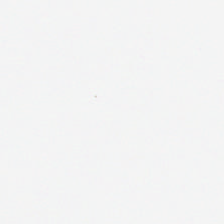The content is no tissue.
